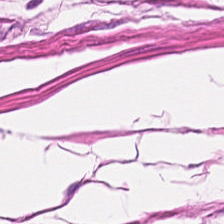Q: What is the predominant tissue type?
A: The field shows smooth-muscle tissue.
